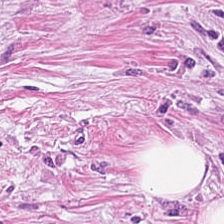Hematoxylin-and-eosin stained section. Showing tumor-associated stroma.
